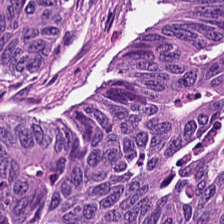H&E-stained tissue section. Colorectal adenocarcinoma epithelium.
